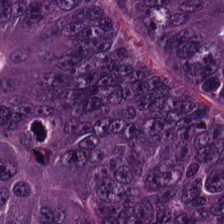Tumor epithelium.
